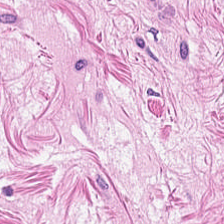Hematoxylin-and-eosin stained section; FFPE; brightfield.
Q: What tissue is shown?
A: This is smooth-muscle tissue.
